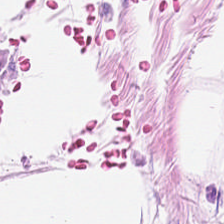H&E.
Tissue = adipose.
